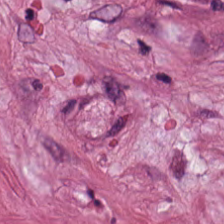0.5 µm/px. Hematoxylin-and-eosin stained section.
Q: What tissue type is shown here?
A: The field shows tumor-associated stroma.
